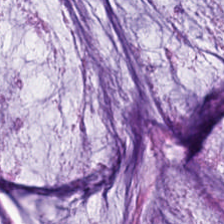Formalin-fixed paraffin-embedded section; whole-slide-image patch; H&E-stained tissue section.
Mucin.
